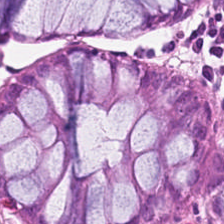Stain: H&E-stained tissue section.
Classification: normal colonic mucosa.
